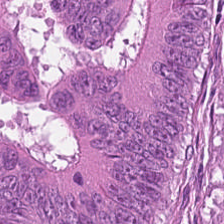H&E-stained tissue section — The classification is tumor epithelium.
